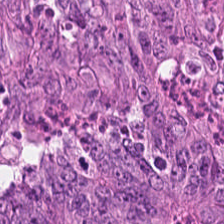H&E. The tissue here is colorectal adenocarcinoma epithelium.
